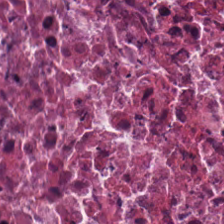H&E-stained tissue section — Tissue = cellular debris.
